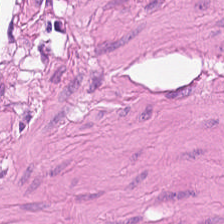H&E-stained tissue section. This patch shows muscularis.
